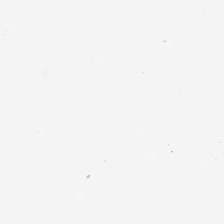Content — no tissue.
